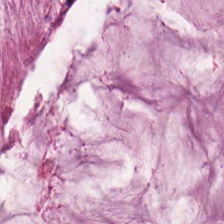H&E. WSI patch.
Showing mucus.
